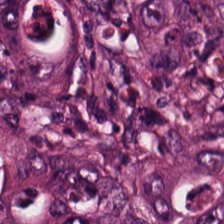H&E stain. The tissue class is malignant epithelium.
